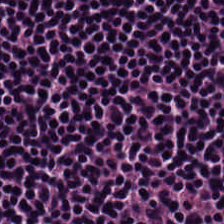Brightfield. Hematoxylin-and-eosin stained section. Finding → lymphoid infiltrate.
